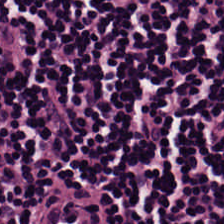Stain: H&E-stained tissue section.
Predominant tissue: lymphocytic infiltrate.
